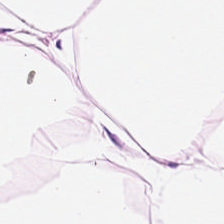Hematoxylin-and-eosin stained section; FFPE tissue section; 0.5 microns per pixel — Q: What is the predominant tissue type?
A: Adipocytes.
